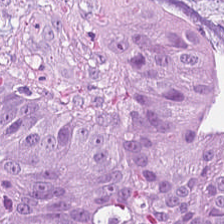The predominant tissue is malignant epithelium.
